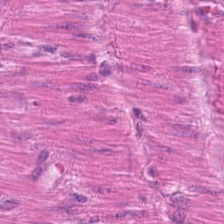FFPE; H&E-stained tissue section.
Tissue: smooth-muscle tissue.
